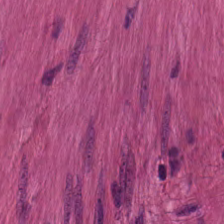Brightfield. 0.5 µm/px. H&E stain.
Q: What is shown here?
A: It is muscularis.
